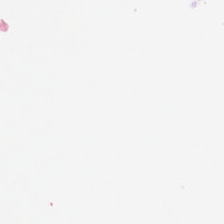Stain: hematoxylin-and-eosin stained section.
Tile size: 224×224 px patch.
Classification: background.
